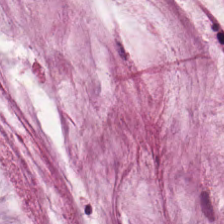The predominant tissue is extracellular mucin.
